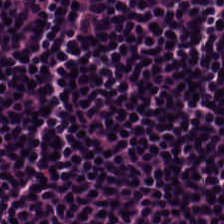H&E-stained tissue section. 224×224 px tile. Q: What is shown in this field?
A: It is lymphoid infiltrate.
